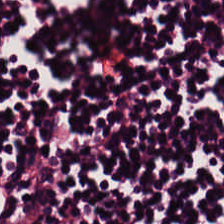H&E-stained tissue section.
Tissue class: lymphocyte aggregate.
